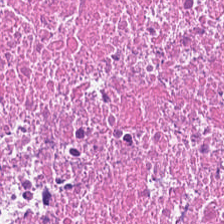H&E-stained tissue section. Tissue = cellular debris.
